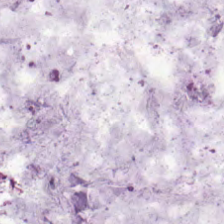H&E-stained section; the field shows extracellular mucin.
